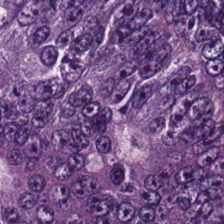Predominantly colorectal adenocarcinoma.
